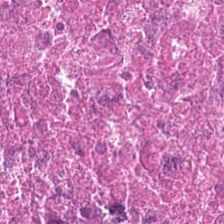Hematoxylin-and-eosin stained section. 0.5 µm per pixel. Tissue class — debris.
